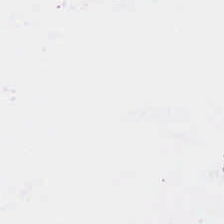Hematoxylin-and-eosin stained section — Q: Classify this patch.
A: The field shows no tissue.
